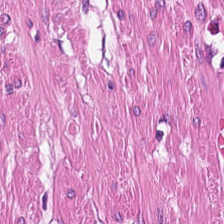Stain: hematoxylin and eosin.
Tissue type: smooth-muscle tissue.
